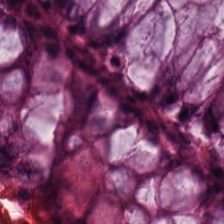Hematoxylin and eosin.
This field is normal colon mucosa.
